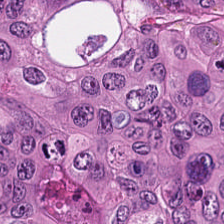0.5 microns per pixel · FFPE tissue section · H&E. Tissue class — colorectal adenocarcinoma.
